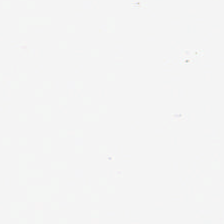Hematoxylin and eosin · formalin-fixed paraffin-embedded section.
Field content = no tissue.
